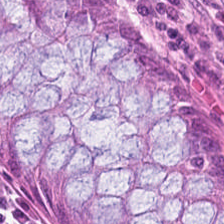Hematoxylin and eosin.
Classification: benign colonic mucosa.
